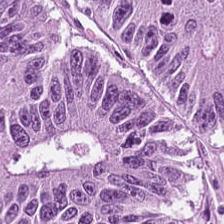H&E. Tissue type = malignant epithelium.
